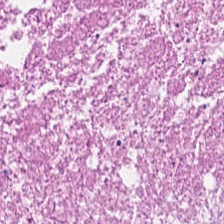H&E. Q: Identify the tissue.
A: It is necrotic debris.
